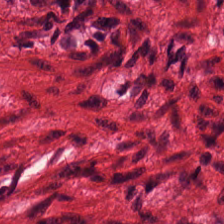H&E.
Predominantly muscularis.
